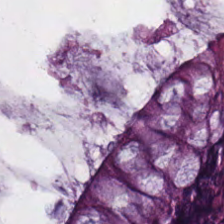H&E-stained tissue section.
Q: What tissue is shown?
A: This is normal colon mucosa.
